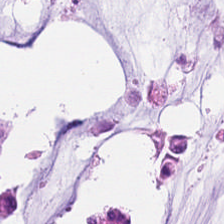H&E-stained tissue section. FFPE tissue section. Q: Identify the tissue.
A: The field shows mucin.
